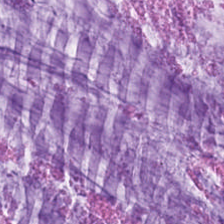H&E stain. Predominantly mucin.
